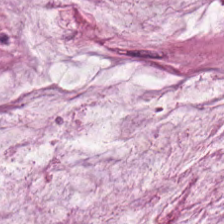H&E-stained tissue section; FFPE. Classification: mucus.
